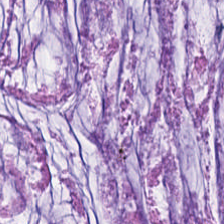Stain: hematoxylin and eosin.
Tissue: mucin.
